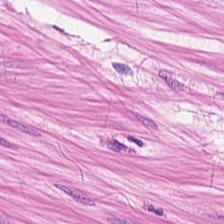H&E-stained tissue section.
Tissue = muscularis.
